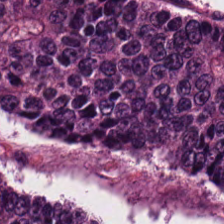H&E-stained tissue section.
Predominantly adenocarcinoma.
